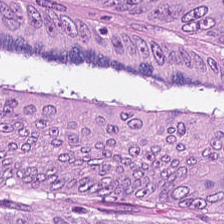H&E; 20× equivalent magnification — Q: What tissue is shown?
A: The field shows adenocarcinoma.
